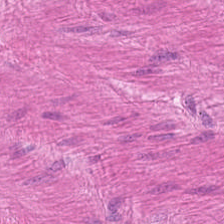Stain: H&E-stained tissue section.
Tissue: muscularis.
